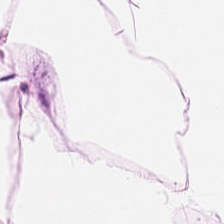H&E — Adipose tissue.
